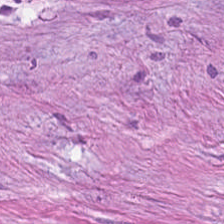Whole-slide-image patch. FFPE. H&E. Q: What tissue type is shown here?
A: It is tumor stroma.
